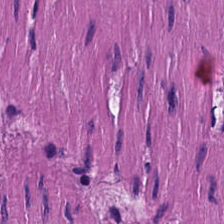0.5 µm per pixel. Brightfield. Hematoxylin-and-eosin stained section. {"tissue_type": "muscularis"}
